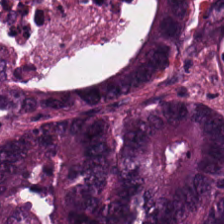Stain: hematoxylin and eosin.
Tissue type: malignant epithelium.
